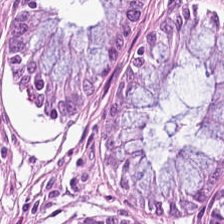Hematoxylin-and-eosin stained section · 0.5 microns per pixel — {"tissue_type": "non-neoplastic colon mucosa"}
